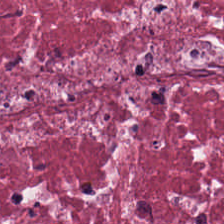Hematoxylin and eosin.
Tumor-associated stroma.
